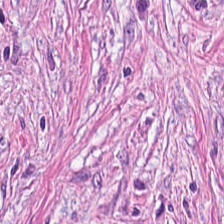H&E stain. Q: What does this patch show?
A: This is desmoplastic stroma.
